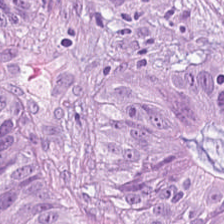Hematoxylin and eosin; whole-slide-image patch.
Impression → tumor epithelium.
